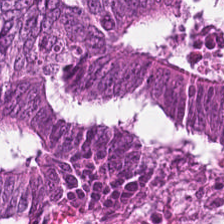Whole-slide-image patch. H&E.
Impression — colorectal adenocarcinoma.
